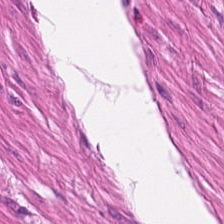H&E stain. 224×224 px patch. Showing smooth-muscle tissue.
